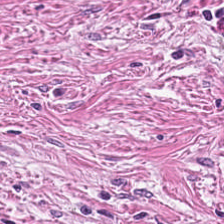H&E stain.
The predominant tissue is tumor-associated stroma.
